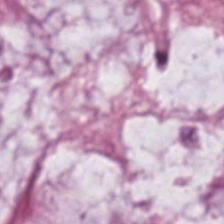Hematoxylin-and-eosin stained section.
The predominant tissue is mucus.
